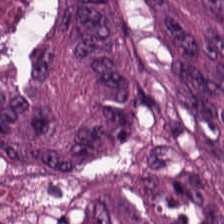H&E-stained tissue section. This field is colorectal adenocarcinoma epithelium.
